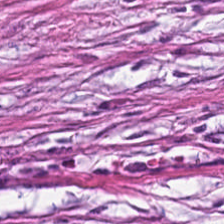Whole-slide-image patch; hematoxylin and eosin — Tumor-associated stroma.
